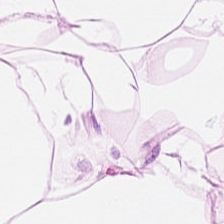Hematoxylin and eosin — Predominantly adipose tissue.
